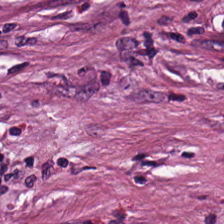224×224 pixel tile. H&E. WSI patch. Classification: cancer-associated stroma.
